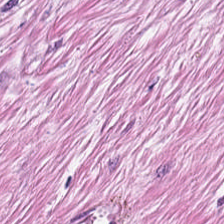Hematoxylin-and-eosin stained section; 0.5 microns per pixel; brightfield — This field is cancer-associated stroma.
